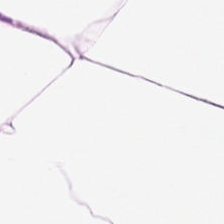Brightfield microscopy · hematoxylin and eosin — Showing fat tissue.
